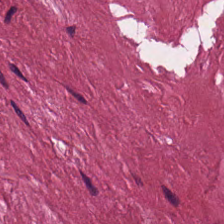The tissue type is tumor-associated stroma.
